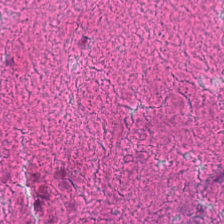H&E stain · whole-slide-image patch. The predominant tissue is debris.
